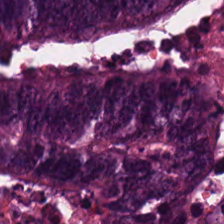H&E stain. FFPE tissue section. The predominant tissue is colorectal adenocarcinoma epithelium.
